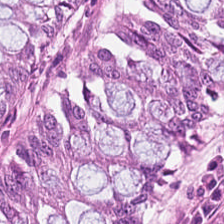Tissue: normal colon mucosa.
